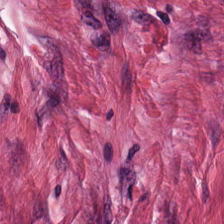The predominant tissue is tumor stroma.
